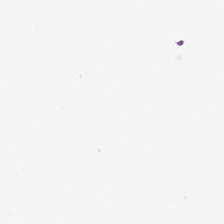0.5 microns per pixel; H&E; FFPE — This patch shows no tissue.
